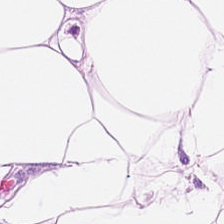H&E; 0.5 µm per pixel.
Tissue type — adipose.
